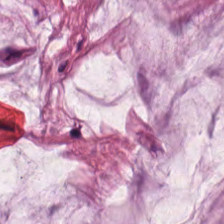FFPE tissue section; 0.5 µm per pixel; hematoxylin-and-eosin stained section.
Tissue: mucin.
